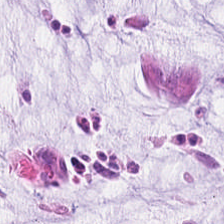Hematoxylin-and-eosin stained section. 224×224 px patch.
Finding — extracellular mucin.
